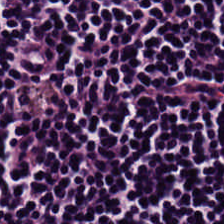H&E stain — {"tissue_type": "lymphocytes"}
